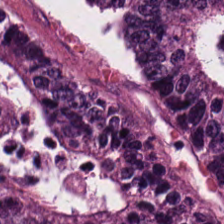H&E stain. Showing malignant epithelium.
